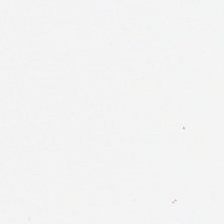H&E.
Finding → background (no tissue).
